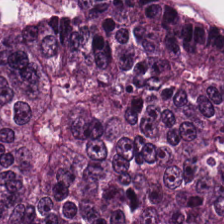H&E patch showing adenocarcinoma.
